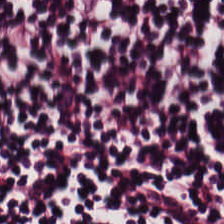H&E stain. Impression → lymphocytes.
